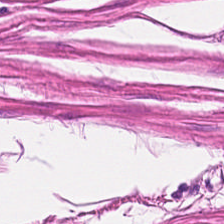0.5 µm/px. H&E-stained tissue section — Showing smooth-muscle tissue.
